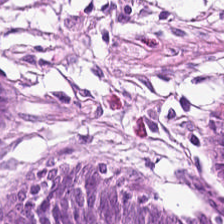H&E stain — Classification — non-neoplastic colon mucosa.
